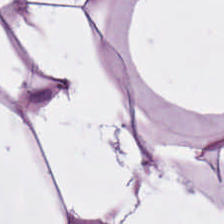H&E-stained tissue section.
Showing adipose tissue.
